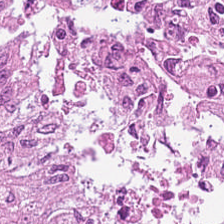Stain: hematoxylin and eosin.
Classification: malignant epithelium.
